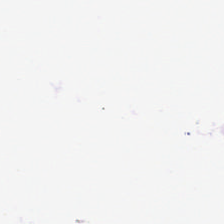H&E — The classification is background (no tissue).
